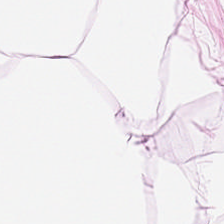H&E-stained section; the field shows adipose tissue.
